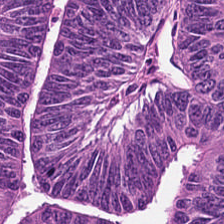Stain: H&E stain.
Tissue class: malignant epithelium.
